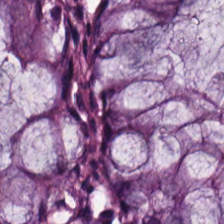Hematoxylin-and-eosin section: non-neoplastic colon mucosa.
